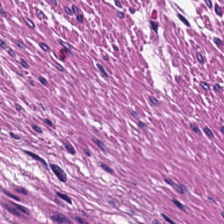Hematoxylin-and-eosin section: muscularis.
